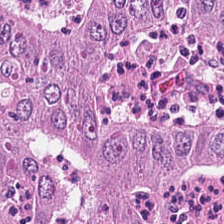Stain: H&E-stained tissue section.
Tissue class: colorectal adenocarcinoma.
